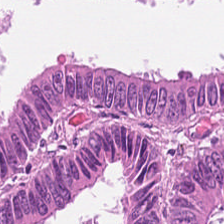H&E-stained tissue section. 20× equivalent magnification.
Impression — tumor epithelium.
